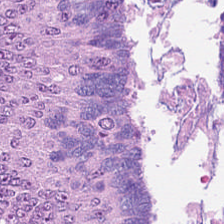Brightfield. H&E stain. Formalin-fixed paraffin-embedded section — Tissue = malignant epithelium.
